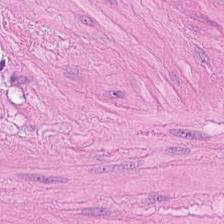224×224 pixel tile · FFPE tissue section · H&E stain — {"tissue_type": "smooth-muscle tissue"}
